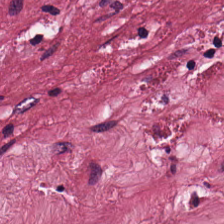H&E-stained tissue section — {"tissue_type": "cancer-associated stroma"}
